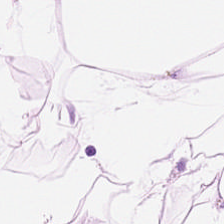H&E-stained section; the field shows adipose tissue.
